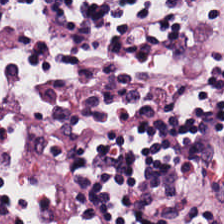Stain: hematoxylin and eosin.
Tissue type: lymphocytes.
